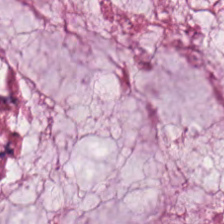Hematoxylin-and-eosin stained section.
Showing mucus.
